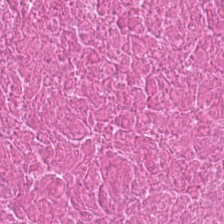Hematoxylin and eosin — The tissue here is debris.
